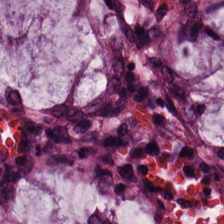Hematoxylin-and-eosin stained section — Predominant tissue: non-neoplastic colon mucosa.
